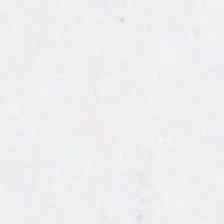Field content — no tissue.
